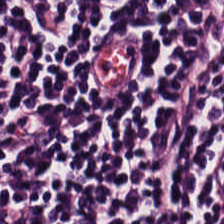224×224 pixel tile; H&E — The tissue type is lymphocyte aggregate.
